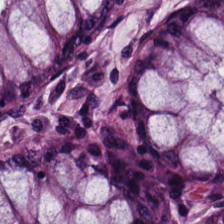H&E — {"tissue_type": "normal colon mucosa"}
